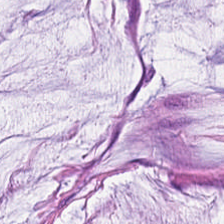Hematoxylin-and-eosin stained section · 0.5 µm per pixel.
This field is mucus.
